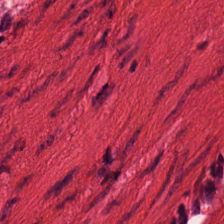Showing smooth-muscle tissue.
